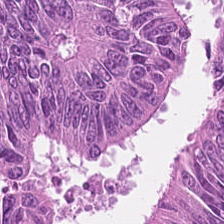H&E-stained tissue section. Q: Classify this patch.
A: The field shows colorectal adenocarcinoma epithelium.
